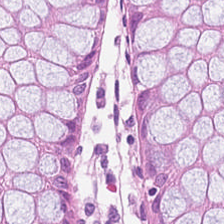Non-neoplastic colon mucosa.
